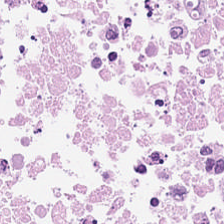FFPE tissue section · H&E. The tissue is necrotic debris.
